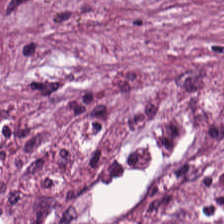The tissue here is tumor-associated stroma.
